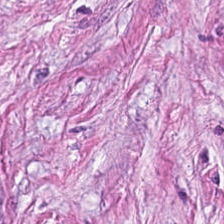H&E — desmoplastic stroma.
